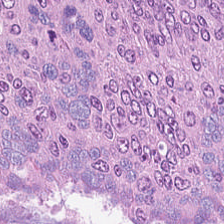0.5 µm per pixel. Hematoxylin-and-eosin stained section. Formalin-fixed paraffin-embedded section. The tissue class is colorectal adenocarcinoma.
